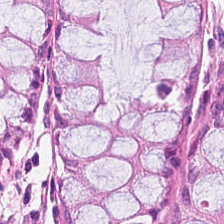WSI patch · H&E stain.
Showing normal colonic mucosa.
